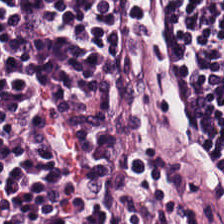Stain: H&E stain.
Acquisition: WSI patch.
Tile size: 224×224 px tile.
Tissue type: lymphocytes.
